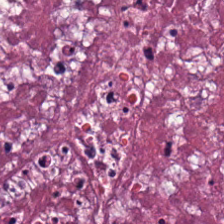H&E. The tissue is debris.
